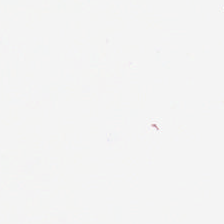Hematoxylin-and-eosin stained section · formalin-fixed paraffin-embedded section.
Q: What is shown in this field?
A: It is empty background.
